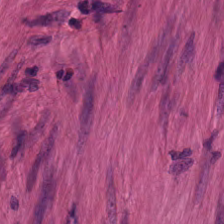Hematoxylin-and-eosin stained section.
Tissue class: smooth muscle.
